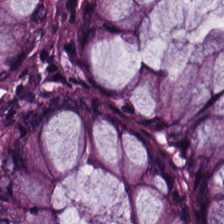H&E · 0.5 microns per pixel · FFPE tissue section.
Q: Identify the tissue.
A: The field shows benign colonic mucosa.
